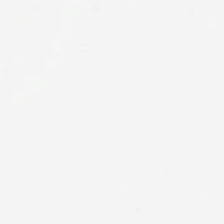Whole-slide-image patch · hematoxylin and eosin — Background (no tissue).
